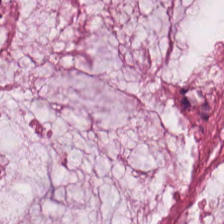Hematoxylin and eosin.
Tissue class = mucus.
